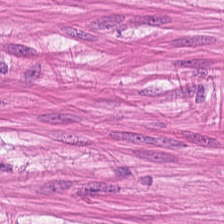Impression → smooth-muscle tissue.
